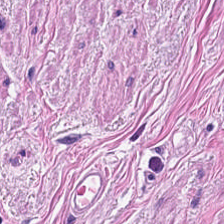H&E. This field is smooth-muscle tissue.
